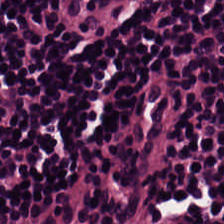Hematoxylin and eosin.
The tissue here is lymphocytic infiltrate.
